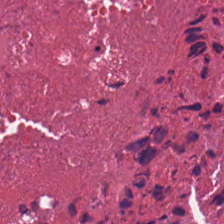20× equivalent magnification. Brightfield microscopy. H&E stain. Tissue type: cellular debris.
